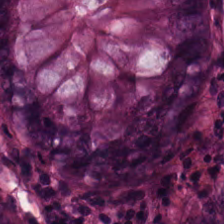FFPE · H&E. Q: What is shown in this field?
A: The field shows normal colonic mucosa.
